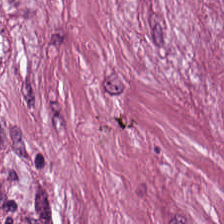H&E stain. 224×224 pixel tile.
Showing tumor stroma.
